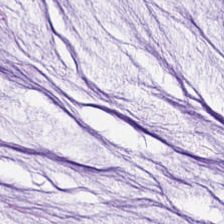H&E-stained tissue section.
Q: What is shown in this field?
A: The field shows mucin.
